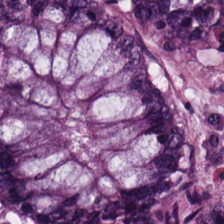H&E stain; FFPE tissue section; whole-slide-image patch.
The predominant tissue is normal colonic mucosa.
